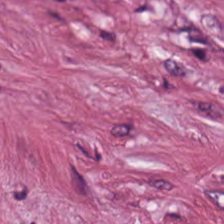Tissue type = tumor-associated stroma.
